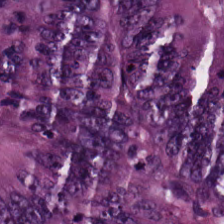224×224 pixel tile · H&E stain.
The tissue here is malignant epithelium.
